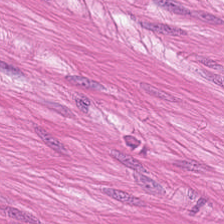Hematoxylin and eosin — {"tissue_type": "muscularis"}
